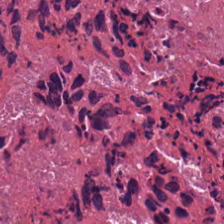The tissue here is necrotic debris.
